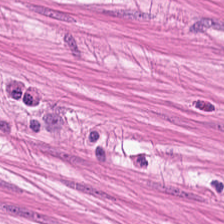H&E-stained tissue section. Whole-slide-image patch. 20× equivalent magnification.
Finding — smooth-muscle tissue.
